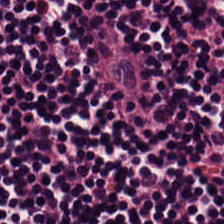H&E-stained tissue section · FFPE.
Tissue type: lymphocytic infiltrate.
